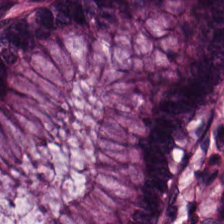Brightfield. H&E stain. FFPE tissue section. Showing benign colonic mucosa.
